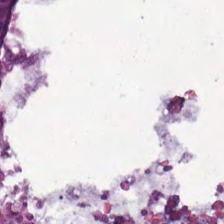Stain: H&E-stained tissue section.
Tissue class: adenocarcinoma.
